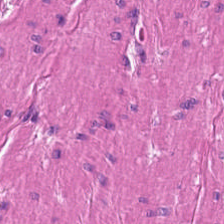H&E. 20× equivalent magnification — Finding — smooth-muscle tissue.
